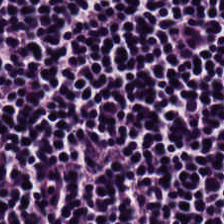Hematoxylin and eosin. The predominant tissue is lymphocyte aggregate.
